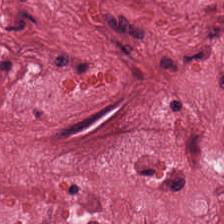Hematoxylin and eosin; 224×224 px tile — The predominant tissue is cancer-associated stroma.
